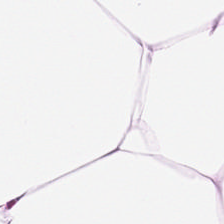Hematoxylin-and-eosin stained section. This patch shows adipocytes.
